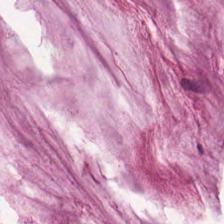Brightfield microscopy; H&E — Extracellular mucin.
